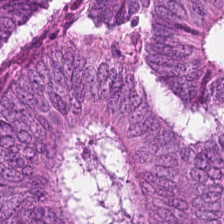Classification = malignant epithelium.
